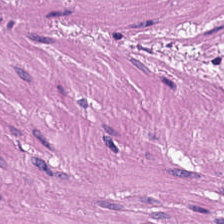224×224 px tile · H&E.
This patch shows smooth-muscle tissue.
